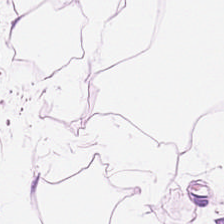H&E. Brightfield microscopy.
Histology → adipose.
